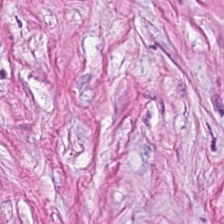{"tissue_type": "desmoplastic stroma"}
